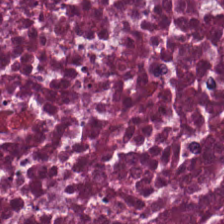Stain: H&E stain.
Tissue type: debris.
